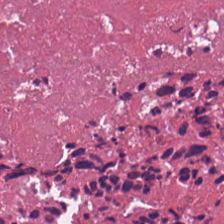H&E-stained tissue section. Brightfield microscopy. {"tissue_type": "cellular debris"}
